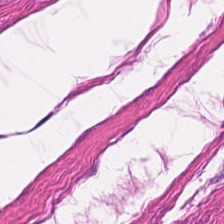H&E — Predominantly smooth muscle.
